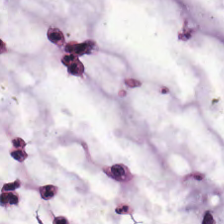H&E-stained tissue section. FFPE tissue section — The tissue here is mucus.
